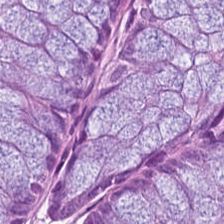Stain: H&E-stained tissue section.
Tissue class: normal colonic mucosa.
